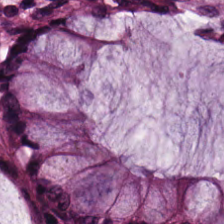224×224 pixel tile; hematoxylin and eosin — Q: What does this patch show?
A: The field shows benign colonic mucosa.
